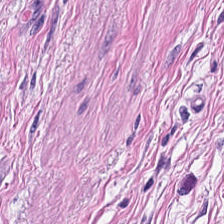Hematoxylin-and-eosin stained section — Tissue type: smooth muscle.
